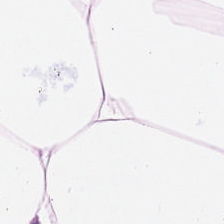Stain: hematoxylin and eosin.
Predominant tissue: adipose tissue.
